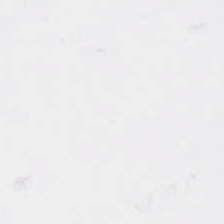Stain: hematoxylin and eosin.
Acquisition: whole-slide-image patch.
Field content: background (no tissue).
